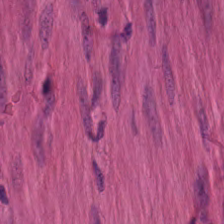Q: What is shown in this field?
A: It is muscularis.
